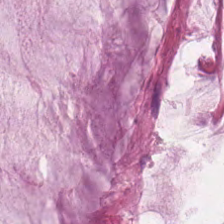H&E — mucin.
